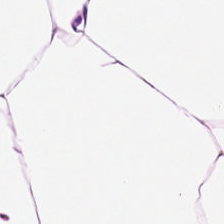H&E · 20× equivalent magnification — This patch shows adipose.
